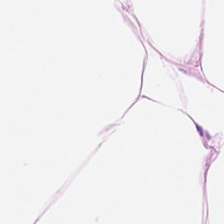Hematoxylin-and-eosin stained section — Tissue type — adipose.
